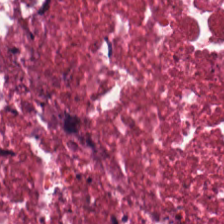Tissue class — debris.
